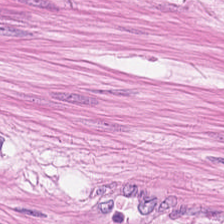Hematoxylin and eosin — The tissue type is smooth-muscle tissue.
